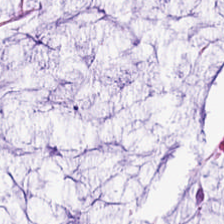Tissue class — extracellular mucin.
